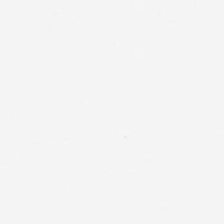H&E-stained tissue section — Empty field — empty background.
